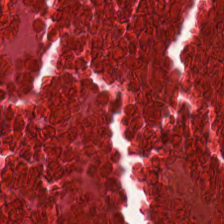H&E stain — {"tissue_type": "cellular debris"}
